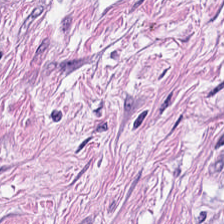224×224 px tile. H&E. Showing smooth muscle.
